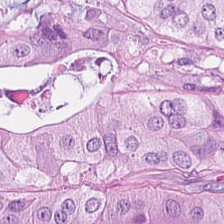Hematoxylin and eosin. Histology → tumor epithelium.
